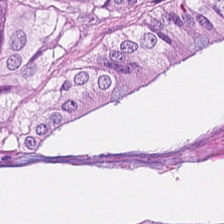H&E-stained tissue section. Tissue type: colorectal adenocarcinoma epithelium.
